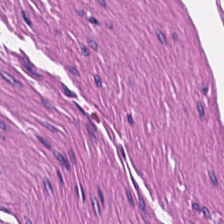Smooth muscle.
